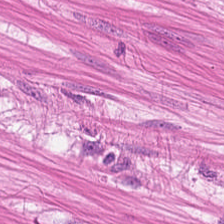Stain: H&E stain.
Classification: muscularis.
